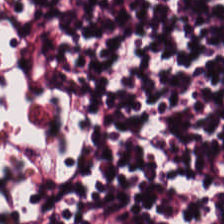Hematoxylin and eosin. {"tissue_type": "lymphocytes"}
